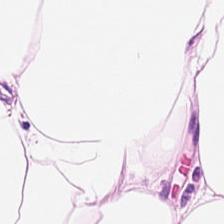H&E.
This field is adipose tissue.
